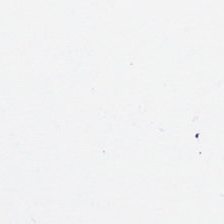H&E-stained tissue section · 20× equivalent magnification.
Field content — background (no tissue).
